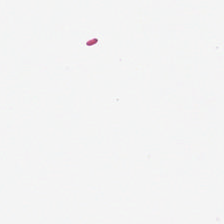Stain: H&E-stained tissue section.
Content: background.
